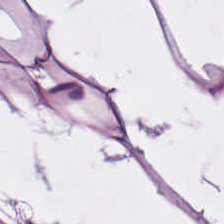Brightfield; H&E. {"tissue_type": "adipose tissue"}
